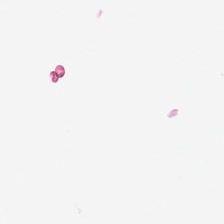Whole-slide-image patch. Hematoxylin-and-eosin stained section.
Impression — background.
